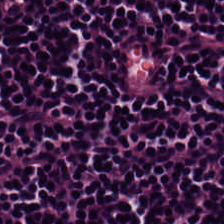H&E stain — Finding — lymphocytes.
